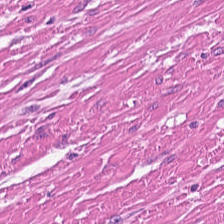H&E stain; brightfield microscopy. Smooth-muscle tissue.
